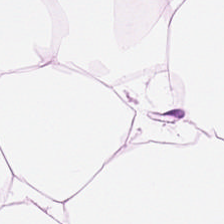H&E — adipose.
